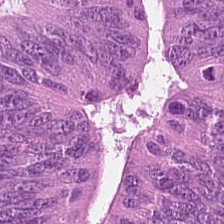H&E-stained tissue section.
Colorectal adenocarcinoma epithelium.
